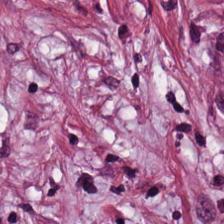{"tissue_type": "tumor-associated stroma"}
